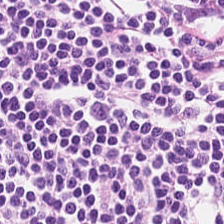Tissue class — lymphocytes.
